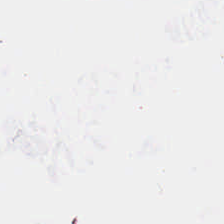H&E. Background (no tissue).
